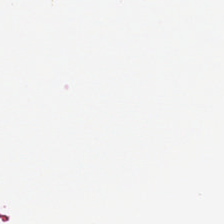Stain: H&E-stained tissue section.
Preparation: formalin-fixed paraffin-embedded section.
Field content: background.
